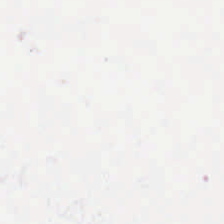Hematoxylin-and-eosin stained section.
Q: What is shown in this field?
A: This is no tissue.
